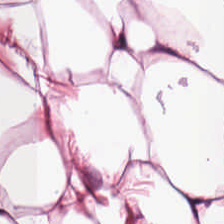H&E-stained tissue section.
Predominant tissue: fat tissue.
